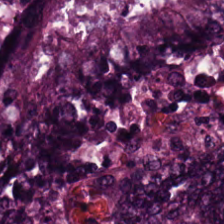224×224 pixel tile · brightfield microscopy · H&E. Q: What does this patch show?
A: This is colorectal adenocarcinoma.
